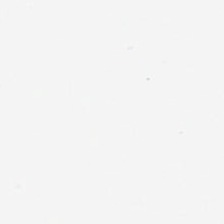H&E-stained tissue section — No tissue present; background only.
